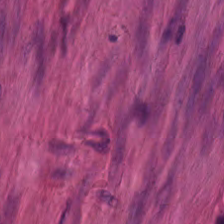Q: What is shown in this field?
A: Smooth muscle.
